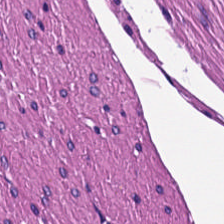Hematoxylin-and-eosin stained section; formalin-fixed paraffin-embedded section — Showing smooth-muscle tissue.
